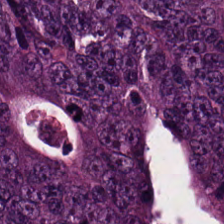Whole-slide-image patch. H&E. FFPE tissue section — The predominant tissue is malignant epithelium.
